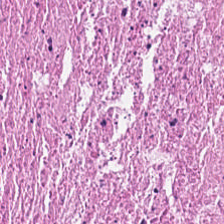H&E — Showing debris.
